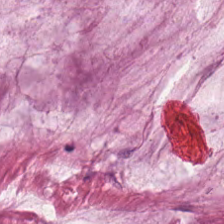H&E patch showing mucin.
